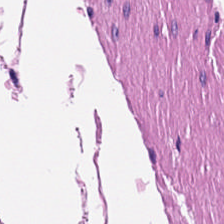FFPE; H&E-stained tissue section. Muscularis.
